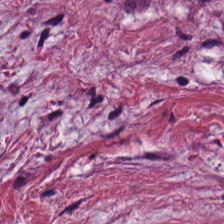H&E-stained tissue section; 0.5 µm per pixel; FFPE.
Tissue — cancer-associated stroma.
